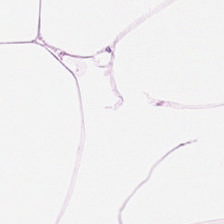Q: What tissue is shown?
A: Adipose.
